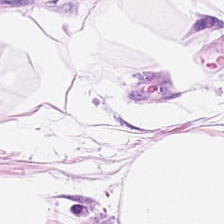Stain: H&E stain.
Acquisition: WSI patch.
Tile size: 224×224 px tile.
Predominant tissue: adipose.
